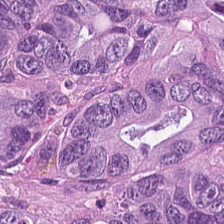H&E.
The predominant tissue is colorectal adenocarcinoma epithelium.
